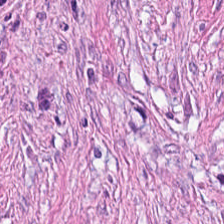{"tissue_type": "cancer-associated stroma"}
